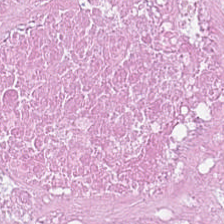Hematoxylin and eosin. {"tissue_type": "necrotic debris"}
